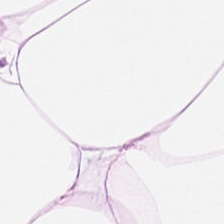Hematoxylin-and-eosin stained section — This patch shows adipose.
